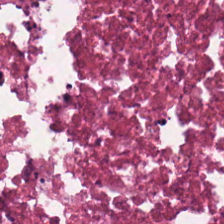Predominant tissue — debris.
